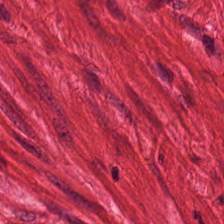H&E patch showing smooth-muscle tissue.
